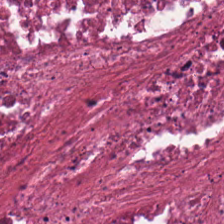Brightfield; H&E stain. Predominant tissue = cellular debris.
